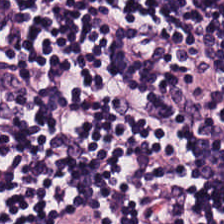224×224 px tile · H&E stain. {"tissue_type": "lymphoid infiltrate"}
